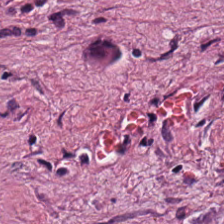H&E-stained tissue section — Tissue — desmoplastic stroma.
